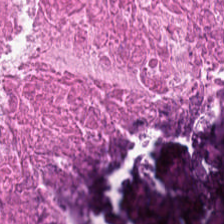H&E — debris.
